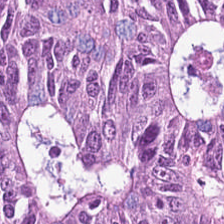H&E. Predominantly adenocarcinoma.
